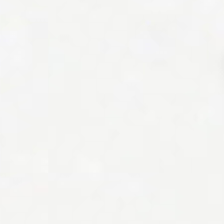Hematoxylin-and-eosin stained section. Field content — no tissue.
